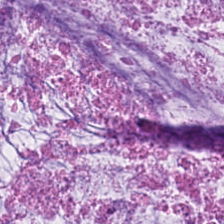Hematoxylin and eosin. The tissue here is mucus.
